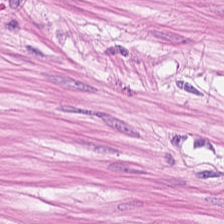Stain: H&E stain.
Tissue type: smooth-muscle tissue.
